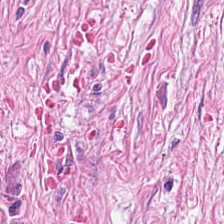Hematoxylin-and-eosin stained section.
Classification — tumor stroma.
